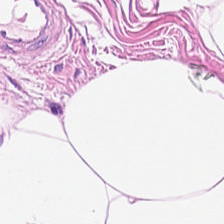Tissue type: adipose tissue.
